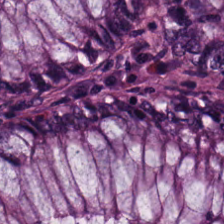This field is normal colon mucosa.
